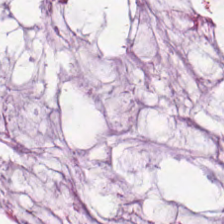H&E stain — The predominant tissue is mucus.
